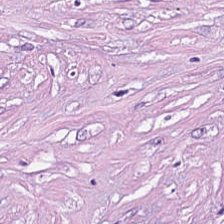Stain: H&E.
Tile size: 224×224 px tile.
Predominant tissue: tumor stroma.
